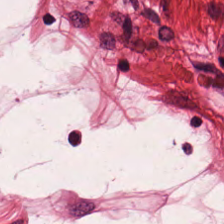FFPE tissue section · whole-slide-image patch · hematoxylin and eosin. The tissue here is smooth muscle.
